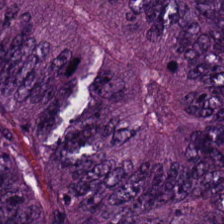FFPE tissue section. Brightfield microscopy. H&E-stained tissue section — Tissue class = adenocarcinoma.
